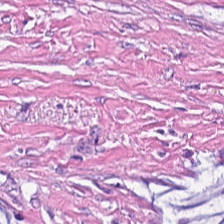0.5 µm per pixel. Brightfield. Hematoxylin-and-eosin stained section.
Classification — desmoplastic stroma.
